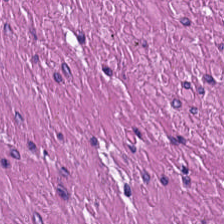Hematoxylin-and-eosin stained section. FFPE.
Tissue = smooth muscle.
